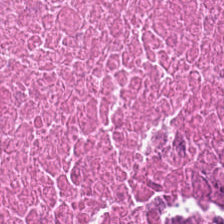H&E-stained tissue section — Classification — debris.
